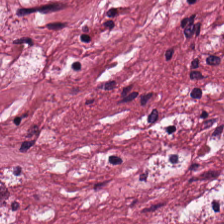20× equivalent magnification. Hematoxylin-and-eosin stained section.
Finding → desmoplastic stroma.
